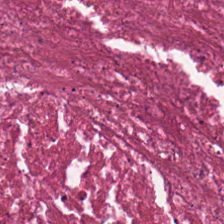Hematoxylin-and-eosin section: debris.
